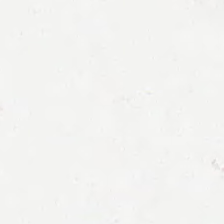H&E stain. FFPE tissue section.
Background — no tissue in this field.
